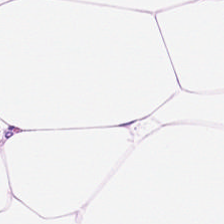H&E-stained tissue section — Adipose tissue.
